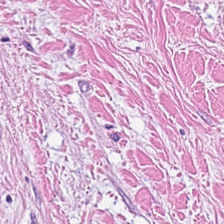H&E-stained tissue section; 224×224 px patch — The predominant tissue is tumor stroma.
